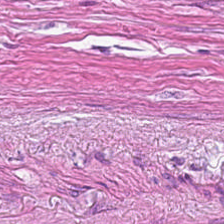FFPE tissue section; 0.5 µm per pixel; H&E. The tissue class is desmoplastic stroma.
